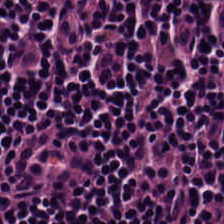Hematoxylin and eosin — Q: What tissue type is shown here?
A: Lymphocytes.
